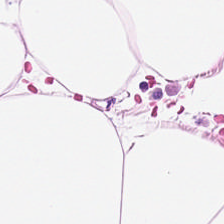H&E — adipocytes.
